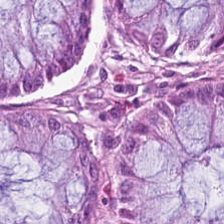H&E.
The predominant tissue is normal colon mucosa.
